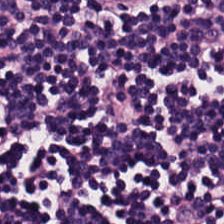Hematoxylin and eosin — Predominantly lymphocyte aggregate.
